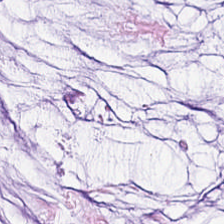H&E-stained tissue section · formalin-fixed paraffin-embedded section — Mucus.
